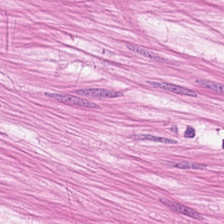224×224 px patch; hematoxylin-and-eosin stained section — Tissue = smooth muscle.
